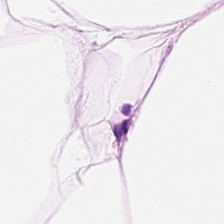Hematoxylin-and-eosin section: fat tissue.
